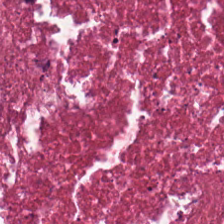Hematoxylin-and-eosin stained section — Q: What type of tissue is this?
A: The field shows debris.
